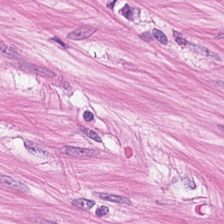Brightfield microscopy · hematoxylin and eosin — Histology — smooth-muscle tissue.
